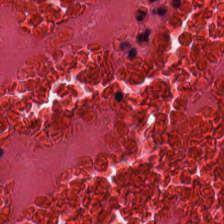H&E.
{"tissue_type": "debris"}
